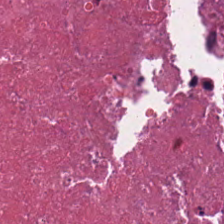The tissue class is necrotic debris.
